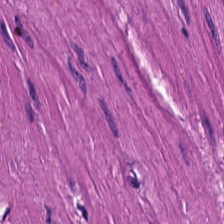H&E — smooth-muscle tissue.
